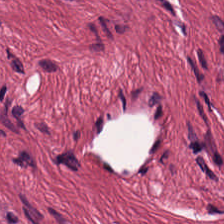Cancer-associated stroma.
